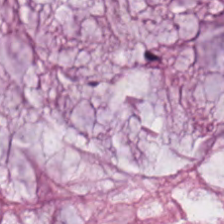H&E — mucus.
